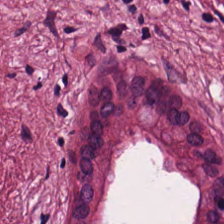Hematoxylin and eosin · 224×224 px patch.
Predominant tissue — cancer-associated stroma.
